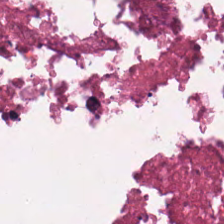Hematoxylin-and-eosin section: debris.
